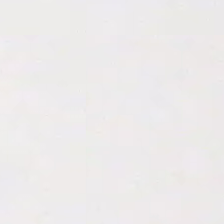Stain: H&E.
Preparation: FFPE.
Field content: empty background.
